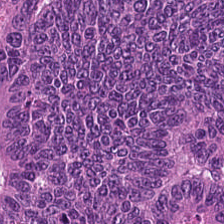H&E-stained tissue section.
This field is colorectal adenocarcinoma.
